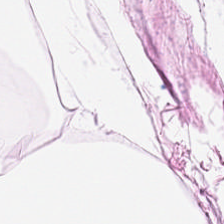H&E — Adipose tissue.
